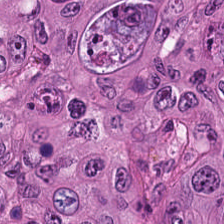This patch shows malignant epithelium.
